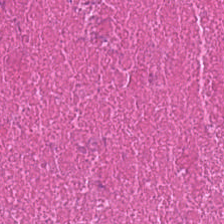H&E-stained tissue section — The tissue here is debris.
